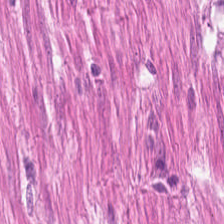Stain: H&E stain.
Tile size: 224×224 px tile.
Resolution: 20× equivalent magnification.
Tissue type: smooth-muscle tissue.
